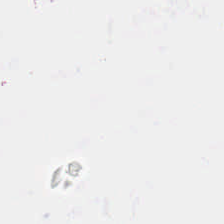Hematoxylin and eosin · 224×224 px tile — The content is empty background.
